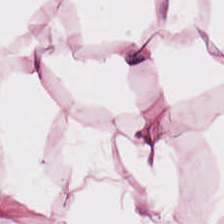H&E-stained tissue section. Brightfield microscopy.
This field is adipocytes.
